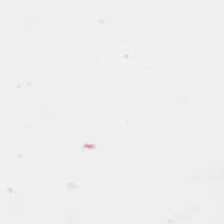Stain: hematoxylin and eosin.
Field content: background (no tissue).
